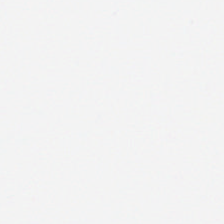Classification = no tissue.
